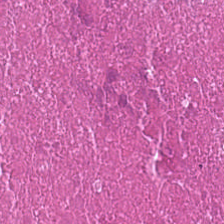224×224 px patch; H&E. Tissue class — debris.
